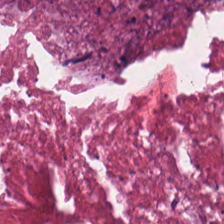H&E stain.
The predominant tissue is cellular debris.
